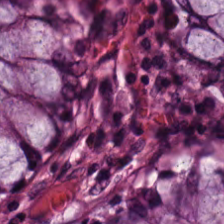Formalin-fixed paraffin-embedded section · H&E-stained tissue section — Tissue: normal colon mucosa.
